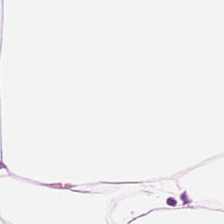H&E. Q: What does this patch show?
A: Adipose.
